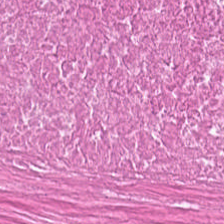Stain: hematoxylin and eosin.
Tissue class: necrotic debris.
